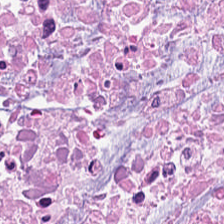Brightfield microscopy · 224×224 px tile · H&E-stained tissue section. {"tissue_type": "necrotic debris"}
